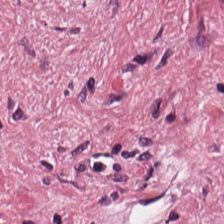224×224 pixel tile · 20× equivalent magnification · H&E stain — This field is cancer-associated stroma.
